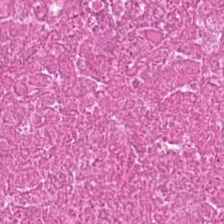FFPE tissue section; hematoxylin-and-eosin stained section — Q: What type of tissue is this?
A: This is necrotic debris.
